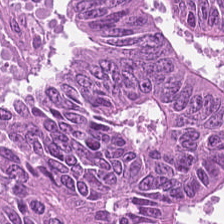0.5 µm per pixel. Whole-slide-image patch. Hematoxylin and eosin.
Classification = colorectal adenocarcinoma.
